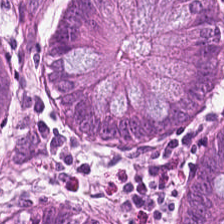H&E stain — Predominant tissue = normal colonic mucosa.
